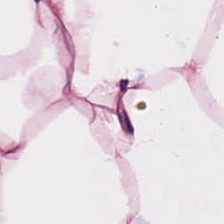Stain: H&E-stained tissue section.
Preparation: formalin-fixed paraffin-embedded section.
Classification: adipose.
